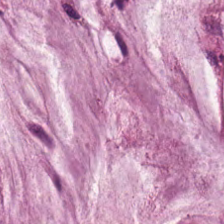Hematoxylin and eosin · FFPE · 224×224 px patch — {"tissue_type": "mucus"}
